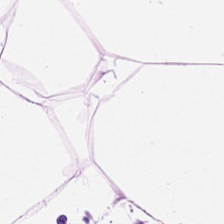Formalin-fixed paraffin-embedded section; hematoxylin and eosin; 0.5 µm/px — Predominantly adipose tissue.
